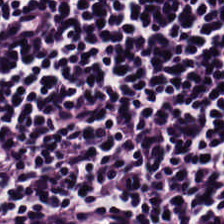H&E-stained tissue section.
Tissue class = lymphocytes.
